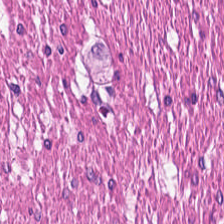H&E.
The classification is muscularis.
